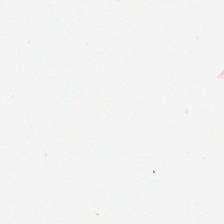H&E. 224×224 pixel tile. This patch shows background (no tissue).
